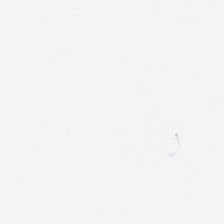Hematoxylin-and-eosin stained section; formalin-fixed paraffin-embedded section; whole-slide-image patch. No tissue present; background only.
